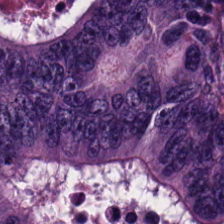20× equivalent magnification; H&E-stained tissue section.
Predominantly tumor epithelium.
